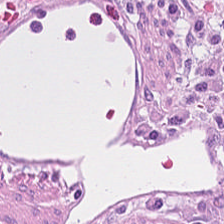Hematoxylin-and-eosin stained section.
The tissue here is cancer-associated stroma.
